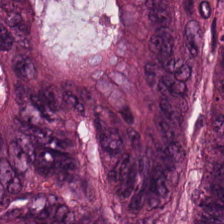The tissue type is tumor epithelium.
